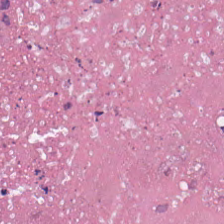Hematoxylin-and-eosin stained section. FFPE tissue section — Tissue class — debris.
